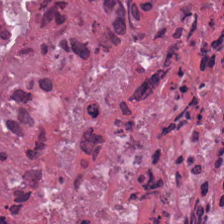{"tissue_type": "necrotic debris"}
